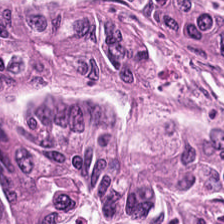Stain: hematoxylin and eosin.
Classification: tumor epithelium.
